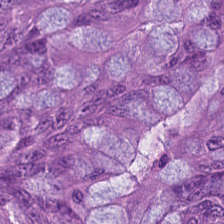This patch shows malignant epithelium.
